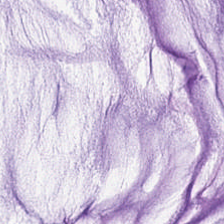H&E-stained tissue section.
Q: What type of tissue is this?
A: Mucus.
